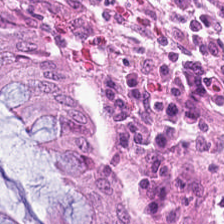0.5 µm per pixel · hematoxylin-and-eosin stained section. This field is normal colonic mucosa.
